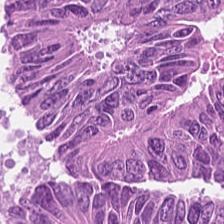Predominantly colorectal adenocarcinoma.
